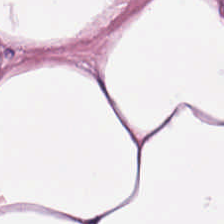Q: Classify this patch.
A: The field shows adipocytes.
